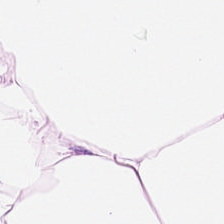Stain: H&E-stained tissue section.
Tile size: 224×224 px patch.
Predominant tissue: adipocytes.
